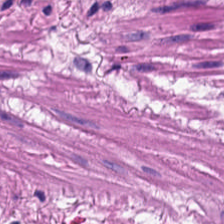Hematoxylin-and-eosin stained section — Tissue class — smooth muscle.
